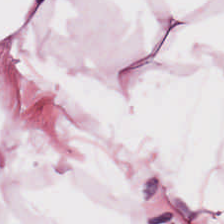Stain: hematoxylin and eosin.
Tissue class: adipocytes.
